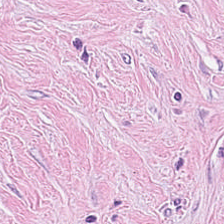H&E. 224×224 pixel tile. The tissue here is cancer-associated stroma.
